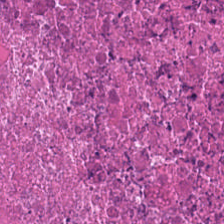H&E · FFPE · WSI patch.
The tissue is necrotic debris.
